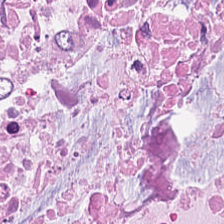Hematoxylin-and-eosin stained section.
Q: What is shown here?
A: The field shows necrotic debris.
